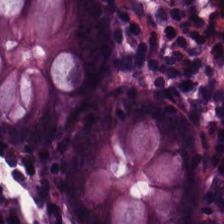Tissue: benign colonic mucosa.
